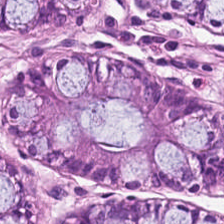H&E stain — Q: What tissue is shown?
A: The field shows normal colon mucosa.
